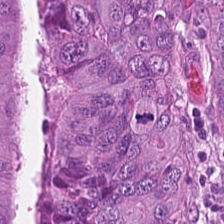Stain: hematoxylin-and-eosin stained section.
Classification: colorectal adenocarcinoma.
